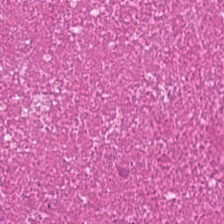Stain: H&E.
Classification: cellular debris.
